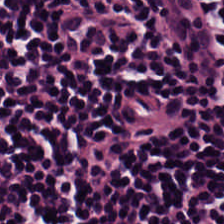Hematoxylin-and-eosin stained section; FFPE — The classification is lymphocytic infiltrate.
